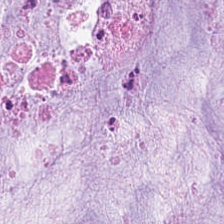H&E stain. Predominant tissue = extracellular mucin.
